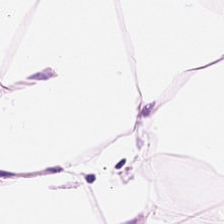Tissue type = fat tissue.
